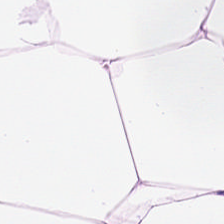Showing adipocytes.
